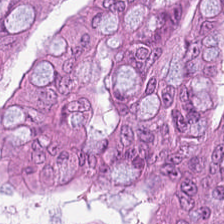Brightfield. H&E. 0.5 µm per pixel.
Finding — malignant epithelium.
